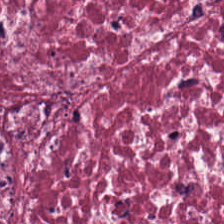H&E. Brightfield microscopy. Q: What does this patch show?
A: It is cancer-associated stroma.
